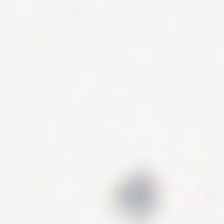Hematoxylin-and-eosin stained section — Q: What is shown in this field?
A: This is empty background.
